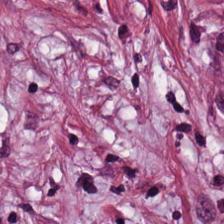The tissue here is tumor-associated stroma.
